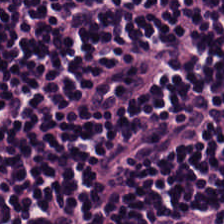Formalin-fixed paraffin-embedded section; H&E-stained tissue section; brightfield.
Tissue — lymphocyte aggregate.
